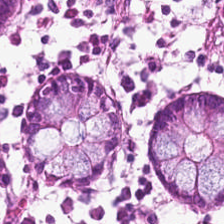H&E · whole-slide-image patch — The classification is non-neoplastic colon mucosa.
